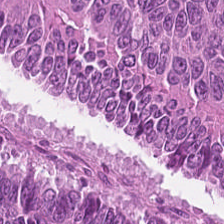224×224 px patch. H&E stain — The tissue here is colorectal adenocarcinoma.
